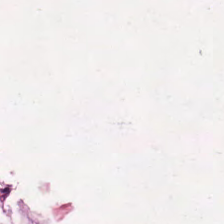Stain: H&E.
Tile size: 224×224 px tile.
Acquisition: WSI patch.
Tissue type: extracellular mucin.
